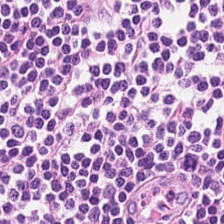Whole-slide-image patch · hematoxylin-and-eosin stained section · formalin-fixed paraffin-embedded section. Q: What tissue type is shown here?
A: It is lymphoid infiltrate.
